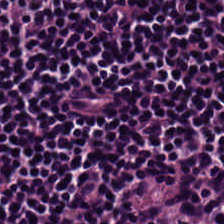Predominant tissue — lymphocytes.
